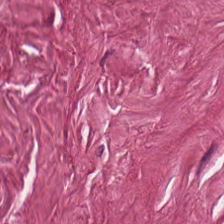H&E · 0.5 µm/px — The predominant tissue is tumor stroma.
